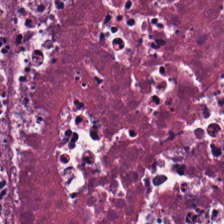H&E-stained tissue section.
Tissue class — necrotic debris.
